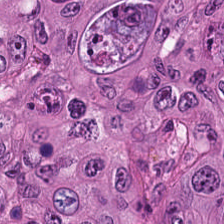Tissue type — colorectal adenocarcinoma epithelium.
